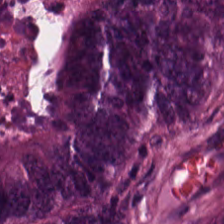FFPE. 224×224 pixel tile. Hematoxylin-and-eosin stained section.
Predominant tissue = tumor epithelium.
